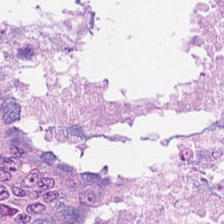Tissue — colorectal adenocarcinoma epithelium.
